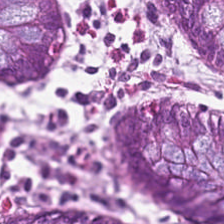224×224 px tile. H&E stain.
The predominant tissue is benign colonic mucosa.
